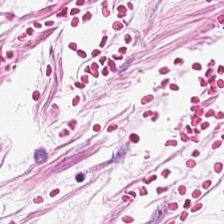FFPE tissue section. 224×224 px tile. H&E stain.
Q: Identify the tissue.
A: Adipose tissue.
